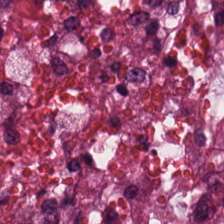Stain: H&E.
Tile size: 224×224 px tile.
Tissue class: debris.
